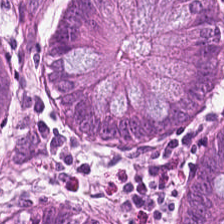H&E. 20× equivalent magnification — Predominantly normal colonic mucosa.
